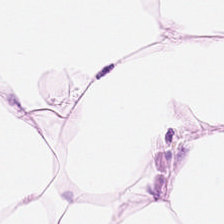H&E. This field is fat tissue.
